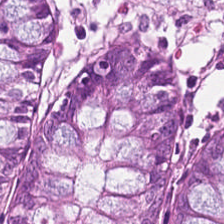Classification — non-neoplastic colon mucosa.
